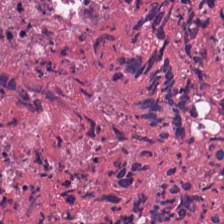{"tissue_type": "debris"}
